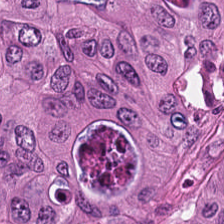Stain: H&E.
Acquisition: brightfield.
Preparation: FFPE tissue section.
Predominant tissue: colorectal adenocarcinoma.
